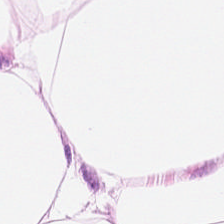Whole-slide-image patch · 20× equivalent magnification · H&E stain — Q: What tissue type is shown here?
A: Adipocytes.
